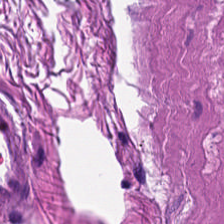Tissue class = smooth muscle.
